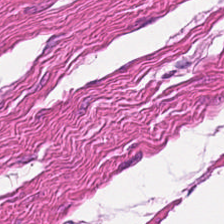H&E-stained tissue section — This field is smooth muscle.
